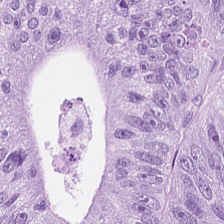H&E-stained tissue section. Whole-slide-image patch.
Classification — tumor epithelium.
